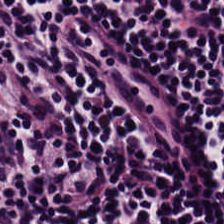224×224 pixel tile · hematoxylin-and-eosin stained section. The classification is lymphocytic infiltrate.
